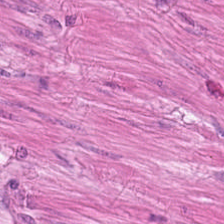H&E-stained tissue section.
Tissue — muscularis.
